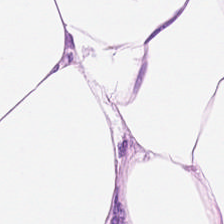Hematoxylin-and-eosin stained section — This field is adipose.
